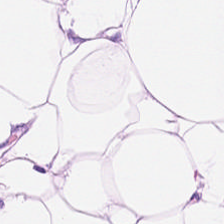H&E-stained tissue section — Adipocytes.
